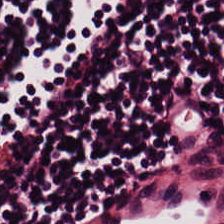Predominant tissue = lymphocytes.
